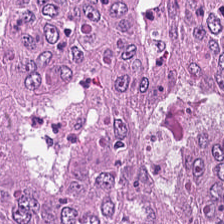H&E stain. The tissue here is malignant epithelium.
